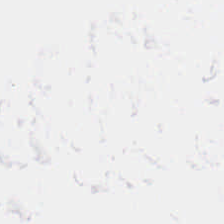FFPE; WSI patch; hematoxylin-and-eosin stained section — This field is background (no tissue).
